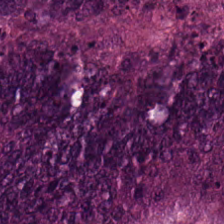Tissue class = colorectal adenocarcinoma epithelium.
